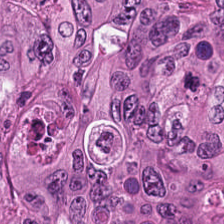H&E — Showing tumor epithelium.
